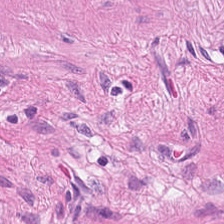Stain: hematoxylin-and-eosin stained section.
Classification: muscularis.
